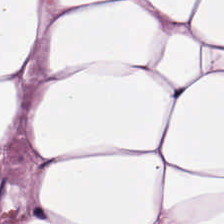H&E.
The tissue here is adipocytes.
